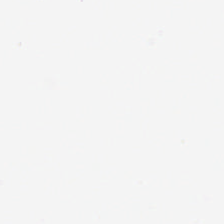224×224 px tile · whole-slide-image patch · H&E stain. Field content: background (no tissue).
